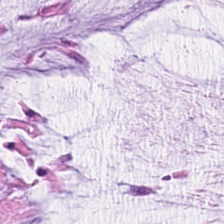Stain: H&E stain.
Classification: extracellular mucin.
